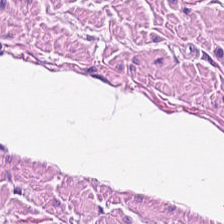Hematoxylin-and-eosin stained section.
Tissue type — muscularis.
